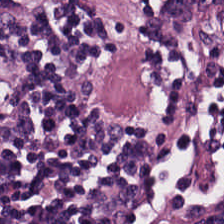Hematoxylin-and-eosin stained section · 0.5 µm/px.
Tissue = lymphoid infiltrate.
